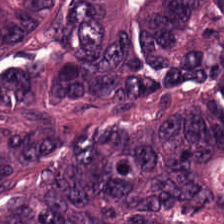H&E; brightfield microscopy; 224×224 px tile — Q: What is shown in this field?
A: It is colorectal adenocarcinoma epithelium.
